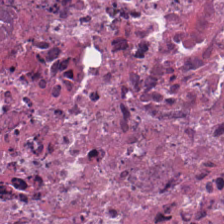H&E-stained tissue section · 224×224 px tile · FFPE tissue section. Finding — necrotic debris.
